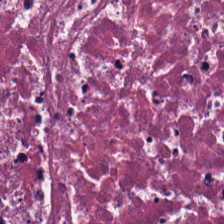This field is debris.
